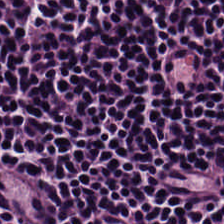Stain: H&E.
Resolution: 20× equivalent magnification.
Tissue type: lymphoid infiltrate.
